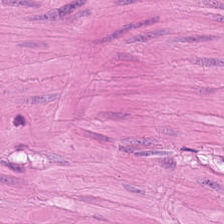H&E-stained section; the field shows smooth-muscle tissue.
